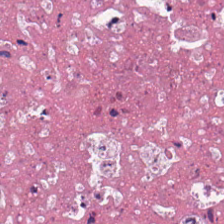H&E · 20× equivalent magnification · whole-slide-image patch.
The predominant tissue is debris.
